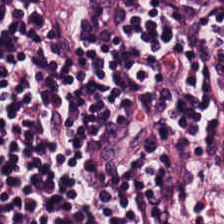WSI patch; hematoxylin and eosin.
Impression → lymphoid infiltrate.
